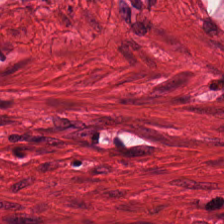Hematoxylin and eosin. Finding → smooth muscle.
